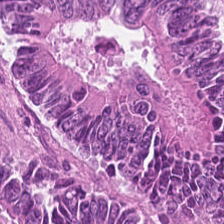H&E.
Impression — adenocarcinoma.
